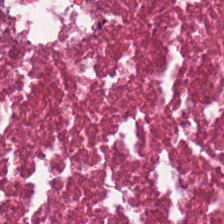Classification: debris.
